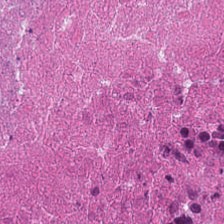H&E · 0.5 µm per pixel · formalin-fixed paraffin-embedded section. Q: What does this patch show?
A: The field shows cellular debris.
